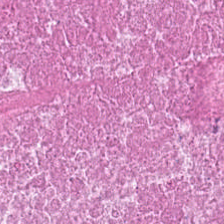WSI patch · H&E stain.
The tissue is necrotic debris.
